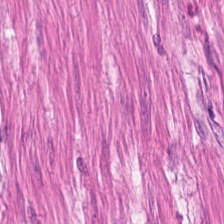224×224 px patch. 0.5 µm/px. Hematoxylin-and-eosin stained section — This field is muscularis.
